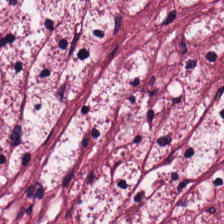H&E-stained section; the field shows cancer-associated stroma.
